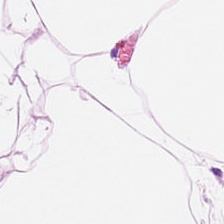224×224 px patch. H&E-stained tissue section — Q: What is the predominant tissue type?
A: The field shows adipose tissue.
